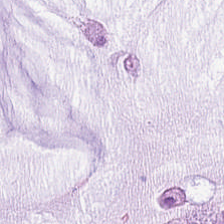FFPE; hematoxylin-and-eosin stained section — Q: What is the predominant tissue type?
A: It is extracellular mucin.
